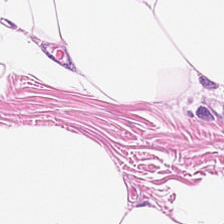0.5 µm per pixel · hematoxylin-and-eosin stained section · whole-slide-image patch.
This field is adipocytes.
